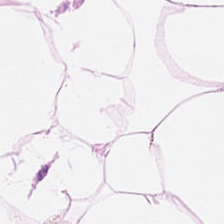224×224 px patch; 20× equivalent magnification; H&E-stained tissue section.
Predominantly adipose.
